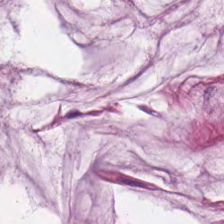Stain: H&E.
Tissue: mucin.
